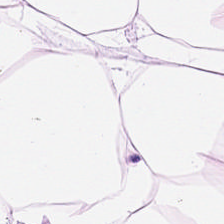H&E.
The tissue here is adipose.
